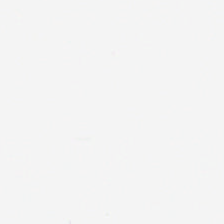H&E-stained tissue section. No tissue.
